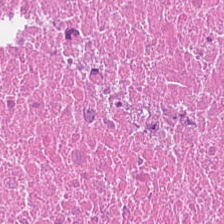{"tissue_type": "necrotic debris"}
